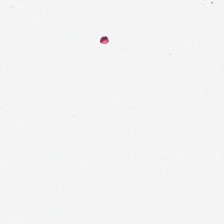Formalin-fixed paraffin-embedded section. Hematoxylin and eosin.
Field content: no tissue.
